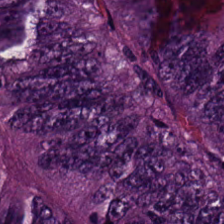This field is tumor epithelium.
